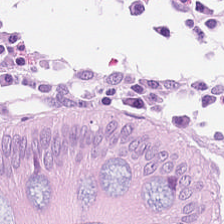H&E-stained tissue section — Impression — benign colonic mucosa.
